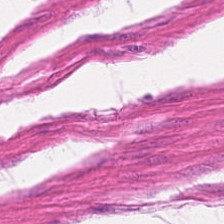H&E — muscularis.
